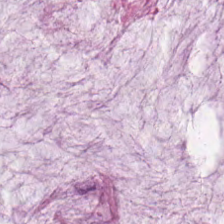H&E-stained tissue section. Brightfield microscopy — Q: What tissue is shown?
A: It is mucin.
